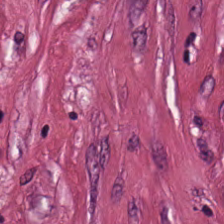H&E stain — Tumor-associated stroma.
